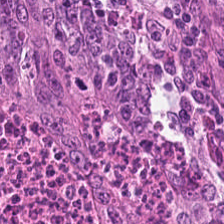Finding → adenocarcinoma.
